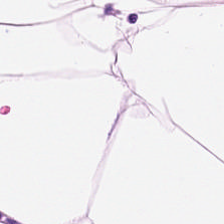H&E. Q: What tissue is shown?
A: Adipose tissue.
